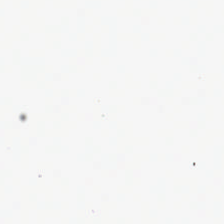224×224 px tile. H&E. Empty field — background (no tissue).
